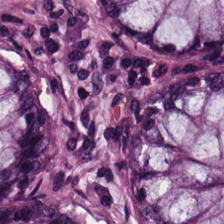Tissue type — normal colonic mucosa.
